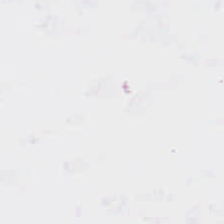No tissue present; background only.
